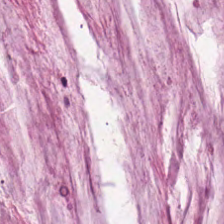Hematoxylin-and-eosin stained section — The predominant tissue is mucus.
